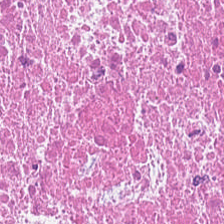H&E-stained tissue section. The predominant tissue is debris.
